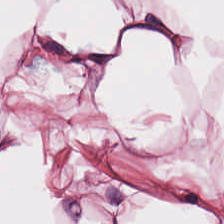224×224 px tile · H&E-stained tissue section. This patch shows fat tissue.
